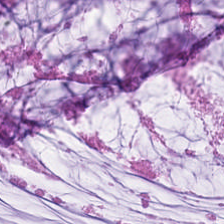Predominant tissue — extracellular mucin.
